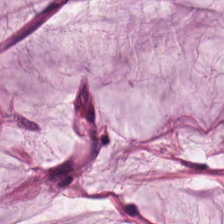Hematoxylin and eosin — {"tissue_type": "extracellular mucin"}
